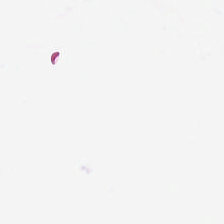H&E. Background — no tissue in this field.
